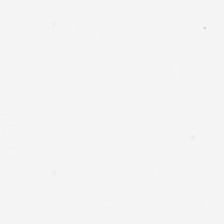224×224 px patch; hematoxylin-and-eosin stained section; formalin-fixed paraffin-embedded section.
The field content is background (no tissue).
